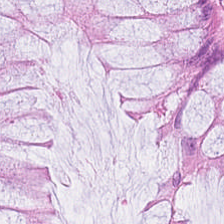H&E-stained tissue section · 224×224 px patch · FFPE tissue section — This patch shows benign colonic mucosa.
